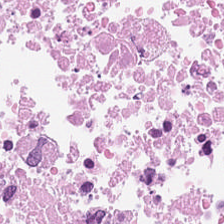H&E — Q: What is shown in this field?
A: The field shows debris.
